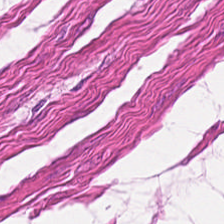H&E stain; 224×224 px tile.
Classification: smooth muscle.
